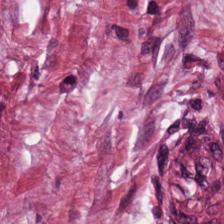Whole-slide-image patch · FFPE · H&E.
This field is cancer-associated stroma.
